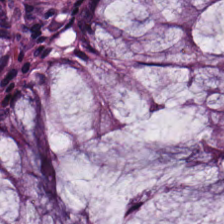Stain: H&E stain.
Tile size: 224×224 pixel tile.
Tissue: normal colonic mucosa.
